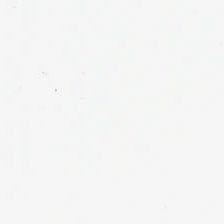This field is background (no tissue).
